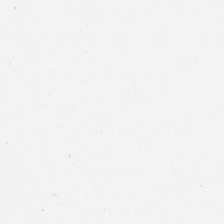Stain: hematoxylin-and-eosin stained section.
Field content: background.
